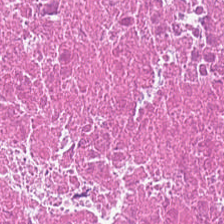20× equivalent magnification; H&E-stained tissue section — {"tissue_type": "cellular debris"}
